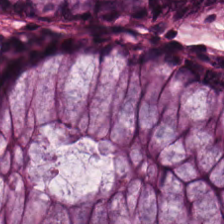Tissue class — normal colon mucosa.
